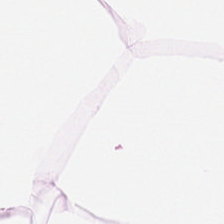H&E. Classification — adipose.
